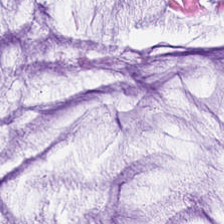Hematoxylin-and-eosin stained section — Predominantly mucin.
